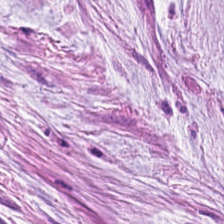Stain: hematoxylin-and-eosin stained section.
Resolution: 0.5 µm/px.
Tissue class: extracellular mucin.
